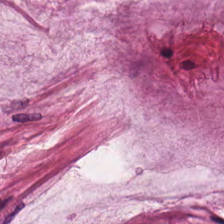224×224 pixel tile. H&E.
Tissue class = extracellular mucin.
